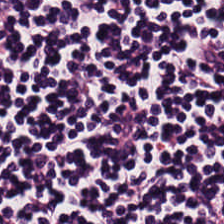H&E-stained tissue section.
The tissue is lymphocytes.
